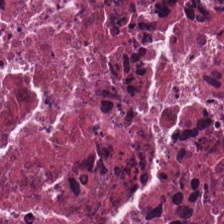Hematoxylin and eosin; 0.5 µm per pixel. Classification = necrotic debris.
